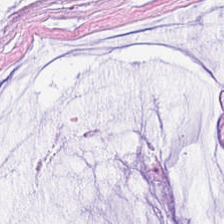H&E-stained tissue section showing extracellular mucin.
